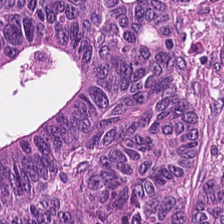H&E-stained section; the field shows malignant epithelium.
